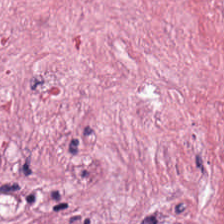H&E stain.
The tissue class is tumor-associated stroma.
